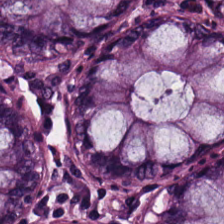Brightfield microscopy; H&E-stained tissue section; FFPE tissue section.
The tissue here is benign colonic mucosa.
